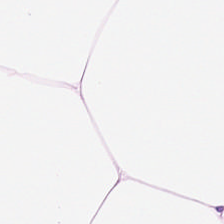Stain: hematoxylin-and-eosin stained section.
Resolution: 0.5 µm per pixel.
Predominant tissue: adipose.
